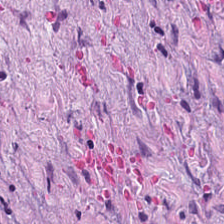Hematoxylin and eosin; WSI patch. Q: Identify the tissue.
A: Tumor stroma.
